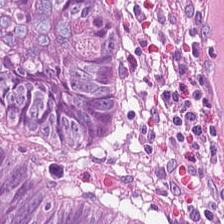Showing colorectal adenocarcinoma.
